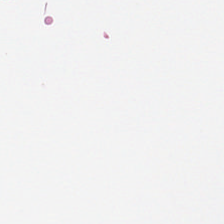Formalin-fixed paraffin-embedded section. H&E stain. Q: Classify this patch.
A: The field shows background (no tissue).
